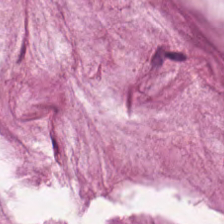H&E stain · 0.5 µm/px — The predominant tissue is mucus.
